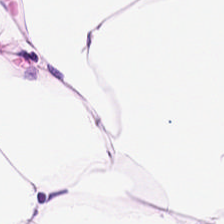224×224 px tile · H&E — The tissue here is adipocytes.
